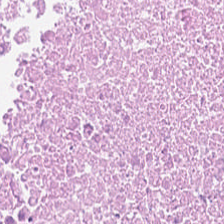Q: What is the predominant tissue type?
A: It is cellular debris.
